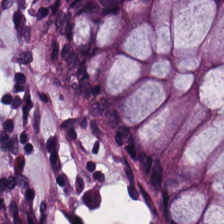Stain: hematoxylin and eosin.
Classification: normal colonic mucosa.
